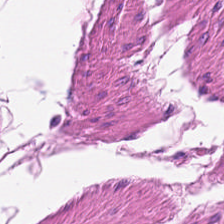H&E stain · FFPE tissue section.
Predominantly smooth-muscle tissue.
